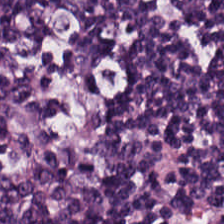Whole-slide-image patch; H&E — Tissue class: lymphocytes.
